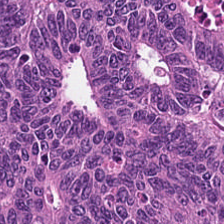H&E.
{"tissue_type": "adenocarcinoma"}
